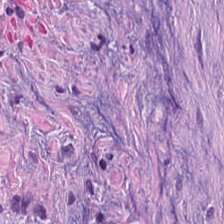H&E; WSI patch — Q: What is shown here?
A: Tumor-associated stroma.
